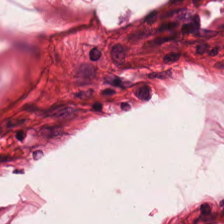Stain: hematoxylin and eosin.
Classification: smooth muscle.
